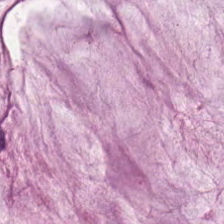H&E-stained tissue section — Q: Identify the tissue.
A: This is mucus.
